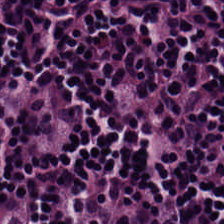Hematoxylin-and-eosin stained section.
Tissue type — lymphocytic infiltrate.
